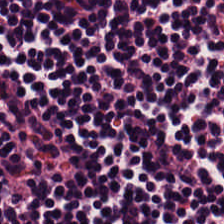Hematoxylin-and-eosin stained section. Predominant tissue — lymphocytic infiltrate.
